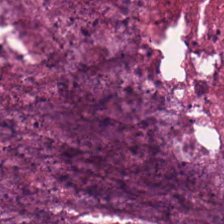H&E. Brightfield microscopy.
The tissue here is cellular debris.
